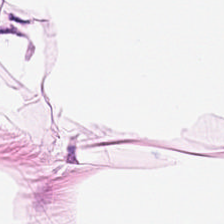FFPE; H&E-stained tissue section.
Tissue class = adipose.
